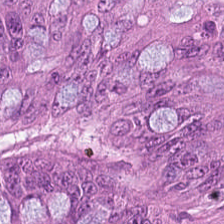H&E — Predominantly adenocarcinoma.
